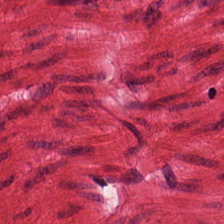The tissue type is muscularis.
